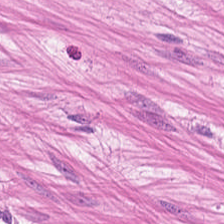This field is smooth muscle.
